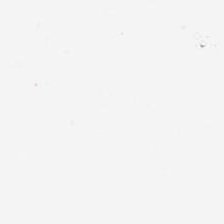H&E stain. The classification is empty background.
